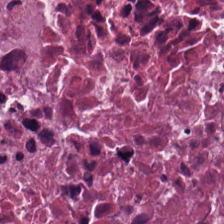Hematoxylin and eosin. Finding → cellular debris.
